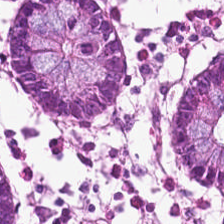H&E stain.
Q: What does this patch show?
A: The field shows non-neoplastic colon mucosa.
